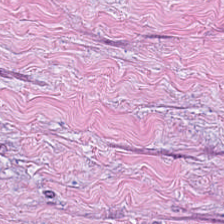Stain: H&E.
Acquisition: brightfield microscopy.
Predominant tissue: tumor-associated stroma.
